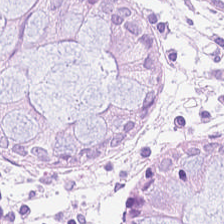Stain: H&E-stained tissue section.
Acquisition: whole-slide-image patch.
Preparation: FFPE tissue section.
Tissue: benign colonic mucosa.
